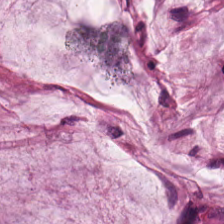Hematoxylin and eosin — Q: What tissue type is shown here?
A: The field shows mucin.
